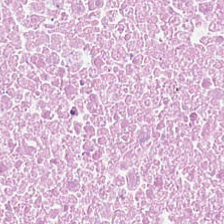Hematoxylin and eosin.
This field is necrotic debris.
